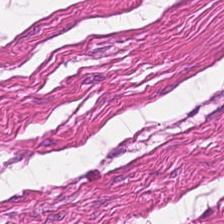Stain: H&E-stained tissue section.
Tissue: smooth muscle.
